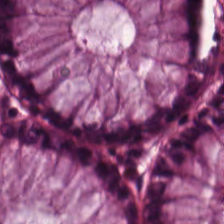Brightfield microscopy · hematoxylin-and-eosin stained section. The tissue here is normal colon mucosa.
